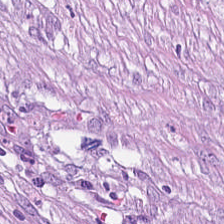Classification = desmoplastic stroma.
